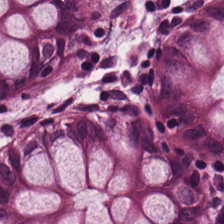Tissue type = non-neoplastic colon mucosa.
